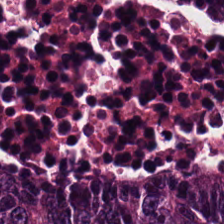FFPE tissue section. Hematoxylin-and-eosin stained section — Tissue = colorectal adenocarcinoma.
